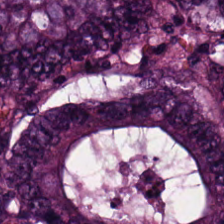Hematoxylin and eosin. Brightfield.
This patch shows tumor epithelium.
